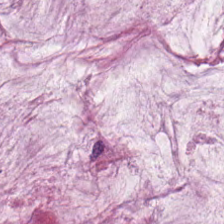H&E-stained tissue section.
Impression — mucin.
